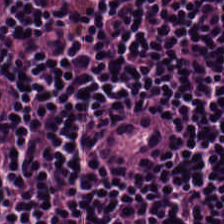H&E; 0.5 µm per pixel — {"tissue_type": "lymphocytic infiltrate"}
